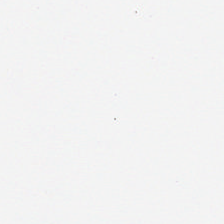H&E-stained tissue section — The content is background (no tissue).
